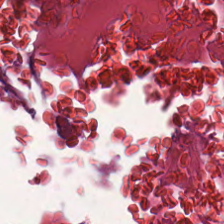H&E stain. Classification — cellular debris.
